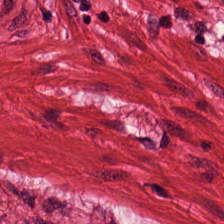Hematoxylin and eosin — The tissue class is smooth muscle.
